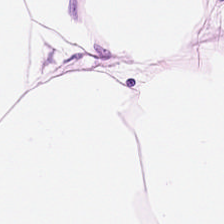Hematoxylin and eosin · WSI patch · FFPE tissue section.
Predominantly adipose.
